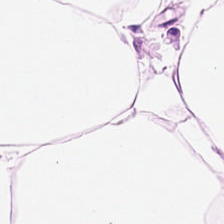H&E. The classification is fat tissue.
